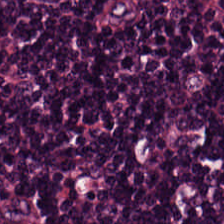H&E patch showing lymphoid infiltrate.
